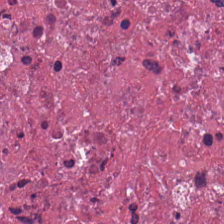Q: What is the predominant tissue type?
A: Cellular debris.
